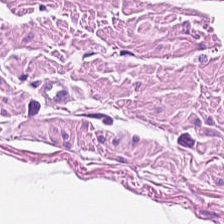H&E · 224×224 pixel tile.
Tissue: muscularis.
